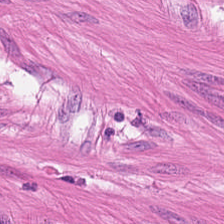H&E-stained tissue section. Tissue type: muscularis.
